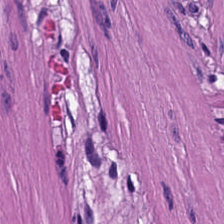Tissue: muscularis.
